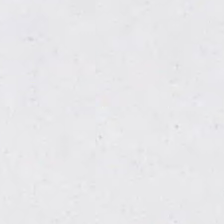Stain: hematoxylin and eosin.
Classification: no tissue.
